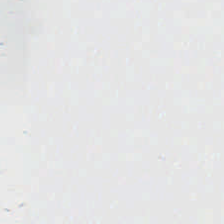Content — background.
